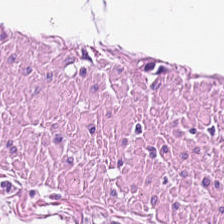H&E stain. 224×224 px tile — This patch shows smooth muscle.
